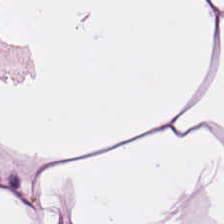Impression — adipose tissue.
